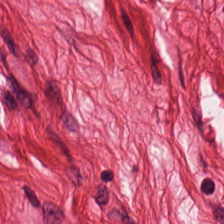20× equivalent magnification · hematoxylin and eosin · 224×224 px patch — Predominantly smooth muscle.
